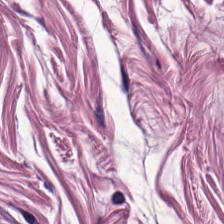Stain: H&E-stained tissue section.
Preparation: FFPE.
Acquisition: WSI patch.
Tissue class: smooth-muscle tissue.
